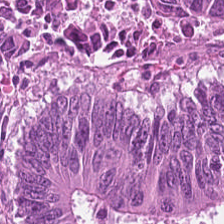Hematoxylin and eosin; brightfield microscopy. The tissue class is tumor epithelium.
